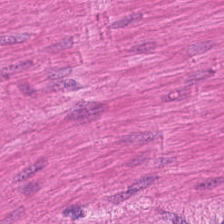224×224 px tile · WSI patch · H&E — Muscularis.
